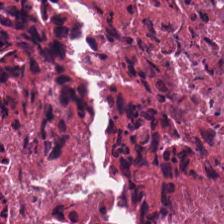{"tissue_type": "cellular debris"}
